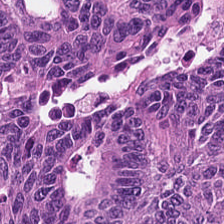Q: What tissue type is shown here?
A: It is tumor epithelium.
